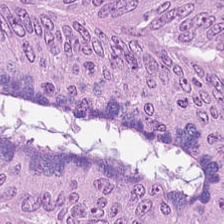0.5 microns per pixel. Hematoxylin-and-eosin stained section. Whole-slide-image patch. Q: What is shown here?
A: This is colorectal adenocarcinoma.
